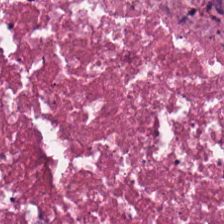Stain: hematoxylin-and-eosin stained section.
Resolution: 0.5 µm/px.
Classification: necrotic debris.
